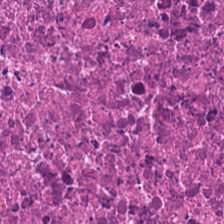Formalin-fixed paraffin-embedded section; H&E.
The tissue here is debris.
